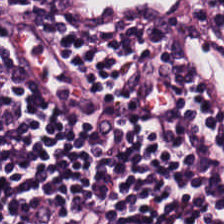Stain: hematoxylin-and-eosin stained section.
Tissue class: lymphocyte aggregate.
